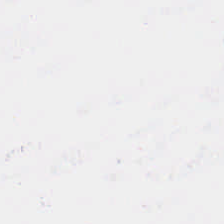Brightfield · H&E-stained tissue section · 0.5 microns per pixel. Impression — empty background.
